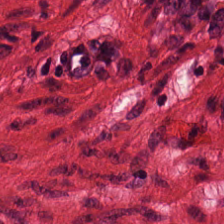Stain: hematoxylin and eosin.
Classification: smooth-muscle tissue.
